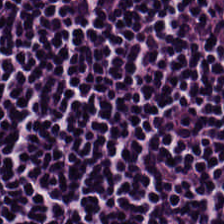H&E-stained tissue section; brightfield microscopy — Tissue type: lymphoid infiltrate.
